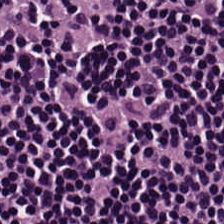Stain: H&E stain.
Tissue class: lymphoid infiltrate.
